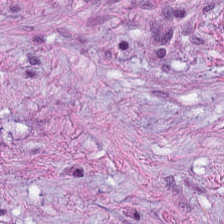Q: What does this patch show?
A: Desmoplastic stroma.
